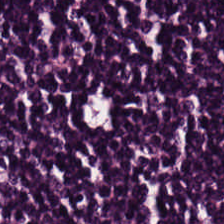Finding — lymphoid infiltrate.
